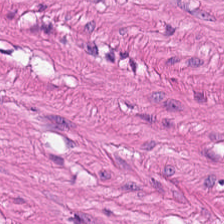Finding → muscularis.
